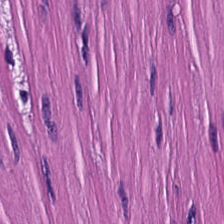H&E stain.
Q: What tissue type is shown here?
A: Muscularis.
